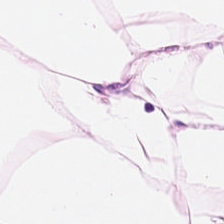FFPE tissue section. H&E.
The tissue is adipose.
